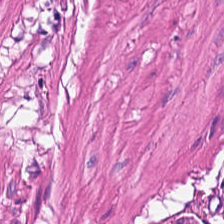The tissue here is smooth muscle.
